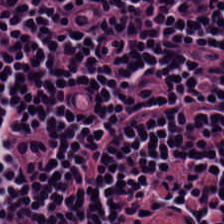0.5 microns per pixel; hematoxylin-and-eosin stained section.
Histology — lymphocytes.
